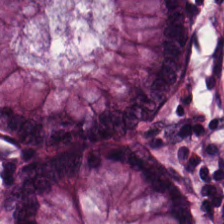{"tissue_type": "non-neoplastic colon mucosa"}
